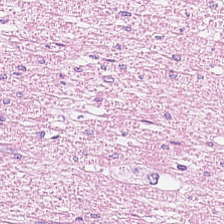Hematoxylin-and-eosin stained section.
Showing smooth muscle.
